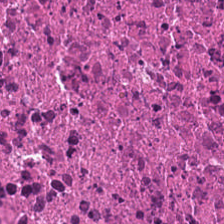H&E-stained tissue section. The tissue here is cellular debris.
